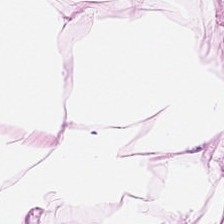The tissue type is adipose.
